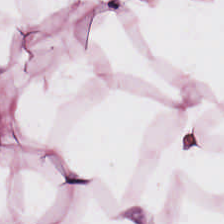FFPE. Hematoxylin-and-eosin stained section. The classification is fat tissue.
